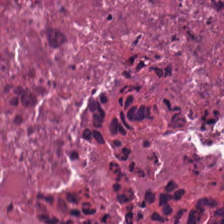Q: Identify the tissue.
A: It is necrotic debris.
